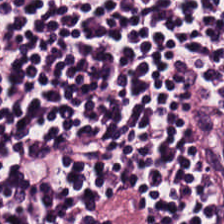Formalin-fixed paraffin-embedded section · 224×224 px tile · H&E stain. Lymphocytic infiltrate.
